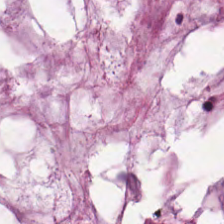Hematoxylin and eosin; WSI patch. Q: What is shown in this field?
A: The field shows mucus.
